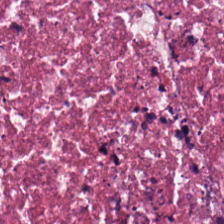Hematoxylin-and-eosin stained section.
Classification: cellular debris.
